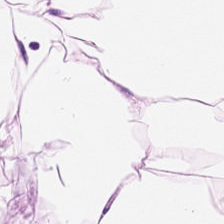H&E-stained tissue section — Q: What does this patch show?
A: It is adipose tissue.
